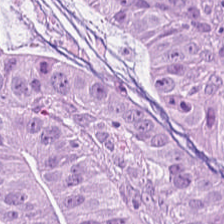Predominantly colorectal adenocarcinoma.
